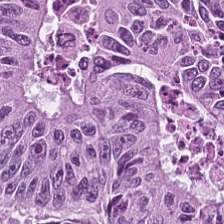H&E. 0.5 µm/px. Brightfield microscopy.
Colorectal adenocarcinoma.
